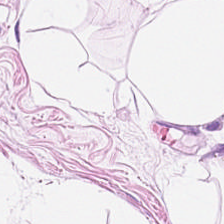H&E patch showing adipose.
